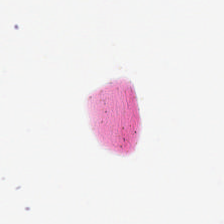H&E.
Empty field — background.
